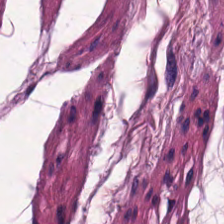H&E-stained tissue section.
Classification = smooth muscle.
